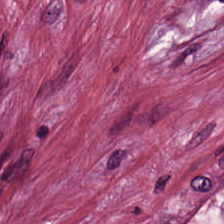Hematoxylin and eosin. FFPE — Tumor stroma.
